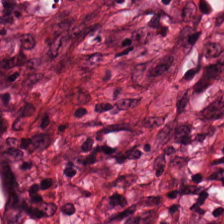H&E-stained tissue section. Whole-slide-image patch. 224×224 px tile — The tissue here is tumor-associated stroma.
